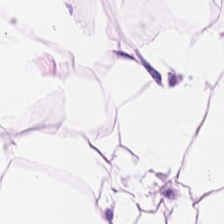Hematoxylin and eosin.
The predominant tissue is adipocytes.
